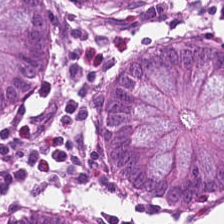Hematoxylin-and-eosin stained section; 0.5 µm per pixel; brightfield.
Tissue class = normal colonic mucosa.
